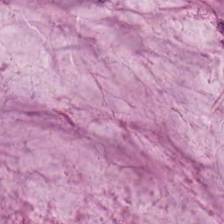Mucin.
